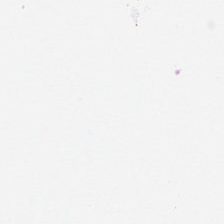H&E-stained tissue section · 224×224 px patch — Histology → background (no tissue).
